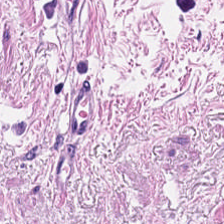Q: What tissue is shown?
A: This is muscularis.
